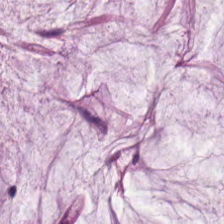H&E stain.
Showing extracellular mucin.
